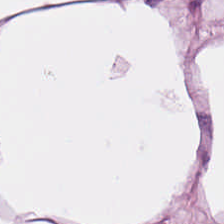H&E. The classification is adipose tissue.
